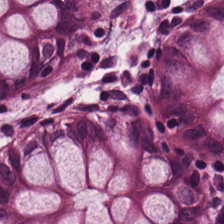H&E stain. Tissue type = non-neoplastic colon mucosa.
